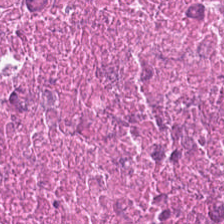H&E.
Tissue — debris.
